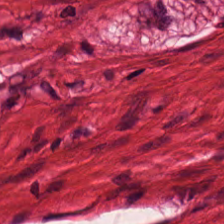Tissue type = smooth-muscle tissue.
